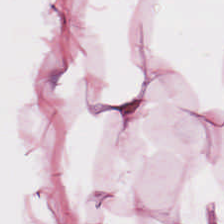0.5 microns per pixel; hematoxylin-and-eosin stained section; FFPE — Predominantly adipose tissue.
